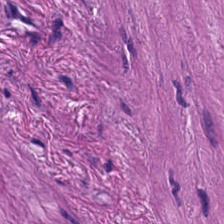FFPE tissue section; H&E — Tissue = smooth-muscle tissue.
